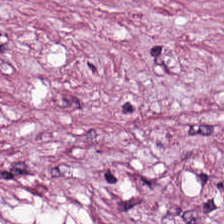224×224 px tile · H&E. Finding → tumor stroma.
